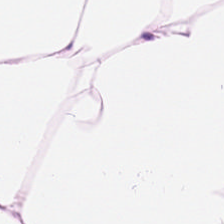Predominantly adipose tissue.
